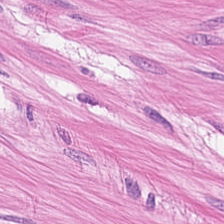Predominantly smooth-muscle tissue.
